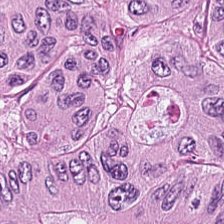224×224 pixel tile · H&E-stained tissue section — This field is colorectal adenocarcinoma.
